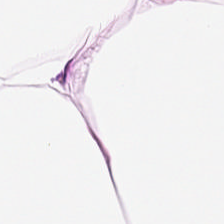Hematoxylin-and-eosin section: fat tissue.
